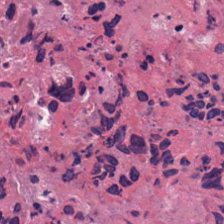Stain: hematoxylin and eosin.
Tissue: cellular debris.
